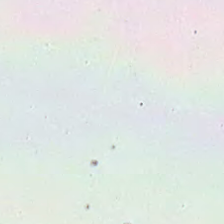H&E — The classification is empty background.
